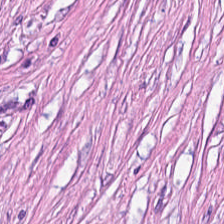Hematoxylin-and-eosin stained section — This field is desmoplastic stroma.
